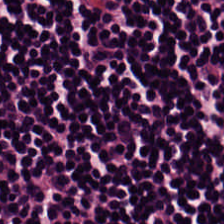Hematoxylin and eosin.
Predominantly lymphocytic infiltrate.
